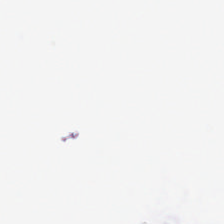0.5 µm per pixel · hematoxylin-and-eosin stained section · 224×224 pixel tile. This patch shows no tissue.
